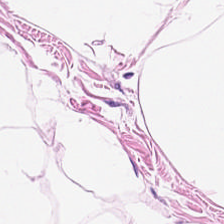H&E stain.
Predominantly fat tissue.
